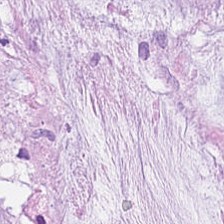Predominantly mucus.
